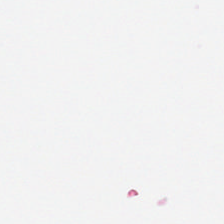224×224 px patch · H&E stain. Impression → background.
